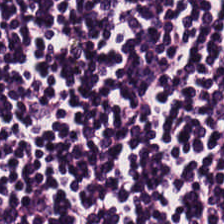H&E stain.
Q: What tissue type is shown here?
A: It is lymphocyte aggregate.
